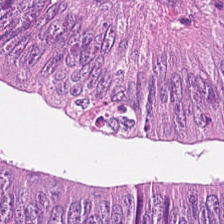Brightfield · H&E · 224×224 px tile — Impression — malignant epithelium.
